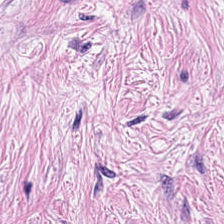H&E stain — The tissue here is tumor-associated stroma.
